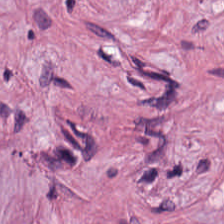Hematoxylin and eosin; brightfield. Classification: tumor stroma.
